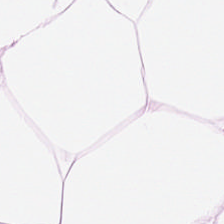Formalin-fixed paraffin-embedded section. H&E-stained tissue section — {"tissue_type": "adipose"}
